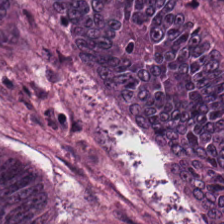Hematoxylin and eosin. The tissue type is colorectal adenocarcinoma.
